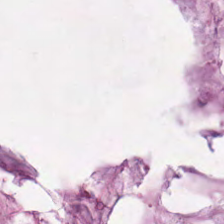The tissue here is mucus.
